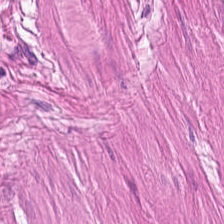Brightfield microscopy. H&E.
Predominantly smooth muscle.
